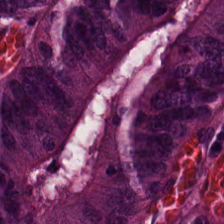H&E. Classification — colorectal adenocarcinoma epithelium.
